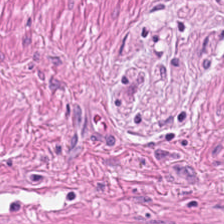H&E · formalin-fixed paraffin-embedded section.
{"tissue_type": "smooth-muscle tissue"}
